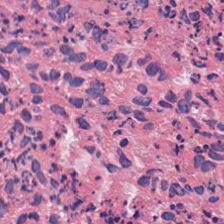H&E stain — Showing necrotic debris.
